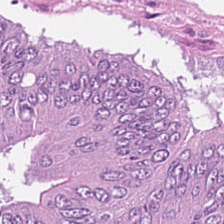Hematoxylin and eosin. Q: Classify this patch.
A: It is tumor epithelium.
